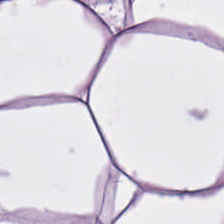H&E-stained tissue section; 0.5 µm per pixel. Q: What tissue is shown?
A: It is adipocytes.
